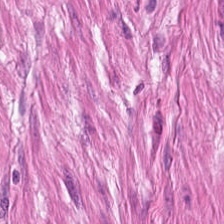Q: What tissue is shown?
A: Smooth muscle.
